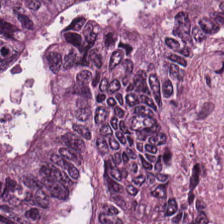H&E — Q: What is the predominant tissue type?
A: Adenocarcinoma.
